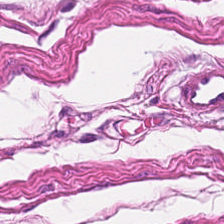Whole-slide-image patch; 224×224 pixel tile; H&E stain — The predominant tissue is muscularis.
